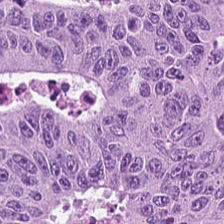The tissue class is adenocarcinoma.
